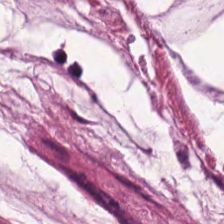H&E-stained tissue section.
The tissue is mucin.
